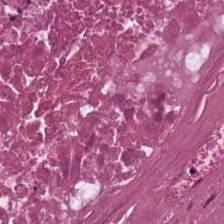H&E stain. Necrotic debris.
